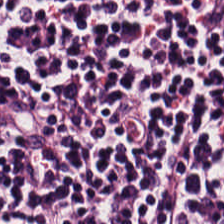H&E. The predominant tissue is lymphocytic infiltrate.
